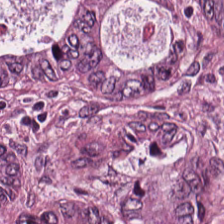H&E patch showing tumor epithelium.
